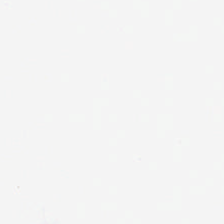Hematoxylin and eosin · 0.5 microns per pixel. The content is no tissue.
